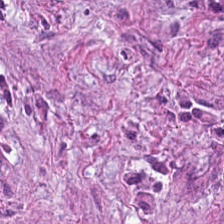Hematoxylin-and-eosin stained section.
The tissue class is desmoplastic stroma.
